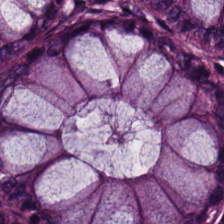Hematoxylin-and-eosin stained section. Q: Classify this patch.
A: Normal colonic mucosa.
